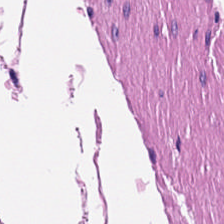H&E stain; 224×224 pixel tile. This field is smooth-muscle tissue.
